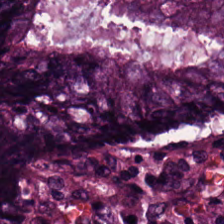Brightfield. H&E. Tissue class — colorectal adenocarcinoma epithelium.
